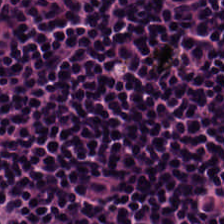FFPE. H&E.
This patch shows lymphoid infiltrate.
